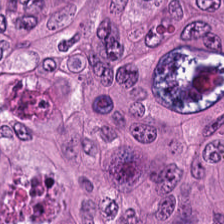Q: Classify this patch.
A: This is adenocarcinoma.
